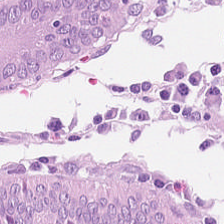H&E-stained tissue section · 0.5 microns per pixel · 224×224 px patch — Tissue type = normal colonic mucosa.
